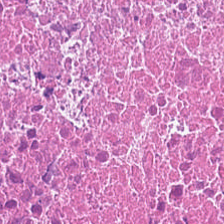H&E stain. The tissue here is necrotic debris.
